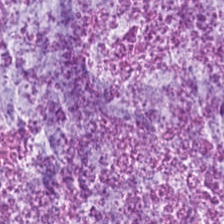H&E-stained tissue section.
Tissue class = mucus.
